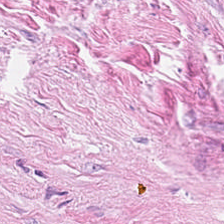H&E stain · 0.5 µm per pixel.
The tissue here is tumor stroma.
